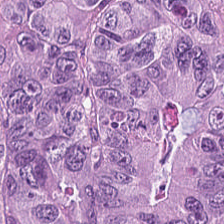H&E — malignant epithelium.
